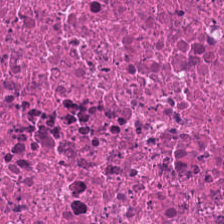H&E — This patch shows debris.
